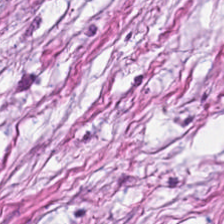Stain: hematoxylin-and-eosin stained section.
Predominant tissue: cancer-associated stroma.
